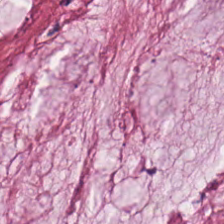H&E-stained tissue section.
Tissue: mucus.
